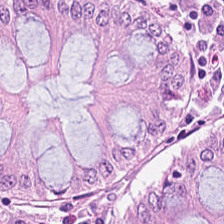Hematoxylin-and-eosin stained section; 224×224 pixel tile.
This field is benign colonic mucosa.
